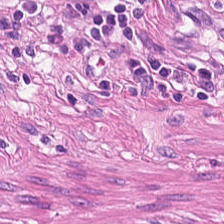H&E stain — This patch shows muscularis.
